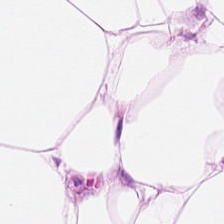H&E stain. {"tissue_type": "adipose tissue"}
